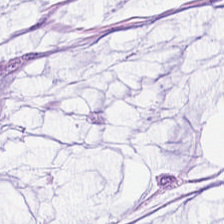FFPE tissue section · H&E-stained tissue section · 224×224 px patch — This patch shows extracellular mucin.
